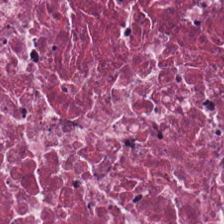FFPE · hematoxylin-and-eosin stained section.
The tissue is necrotic debris.
